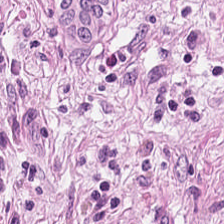H&E stain. Classification — tumor stroma.
